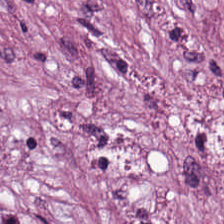Tissue = tumor stroma.
